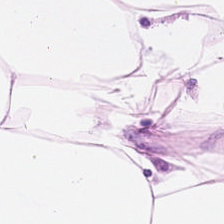H&E stain. {"tissue_type": "adipose tissue"}
